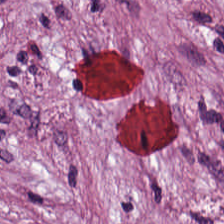Stain: H&E stain.
Resolution: 0.5 microns per pixel.
Classification: cancer-associated stroma.
